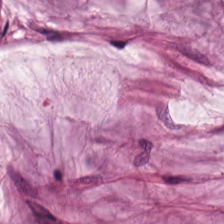Hematoxylin-and-eosin stained section.
Histology → mucin.
